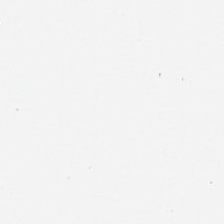Stain: hematoxylin and eosin.
Classification: background.
